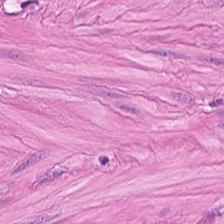Stain: H&E.
Tile size: 224×224 px patch.
Tissue: smooth-muscle tissue.
